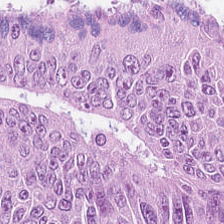Hematoxylin-and-eosin stained section · 224×224 px patch.
The tissue class is tumor epithelium.
